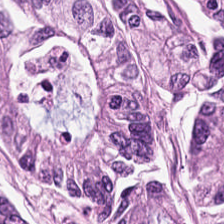This patch shows colorectal adenocarcinoma epithelium.
